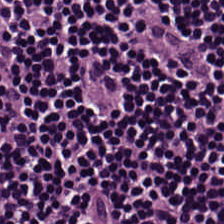H&E.
The classification is lymphocytes.
